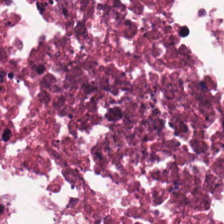FFPE tissue section. H&E-stained tissue section.
Showing debris.
